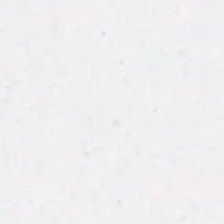0.5 microns per pixel · H&E · 224×224 pixel tile — Background.
